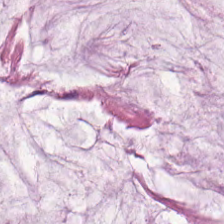Stain: H&E stain.
Tissue class: extracellular mucin.
